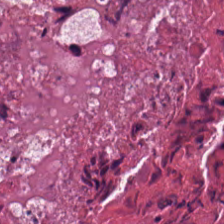Hematoxylin-and-eosin stained section · formalin-fixed paraffin-embedded section · brightfield.
Q: Identify the tissue.
A: Debris.
